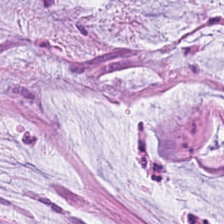20× equivalent magnification · 224×224 px tile · hematoxylin-and-eosin stained section — The predominant tissue is extracellular mucin.
